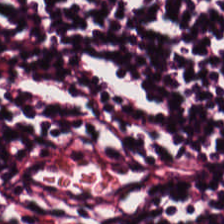H&E.
Histology → lymphocyte aggregate.
